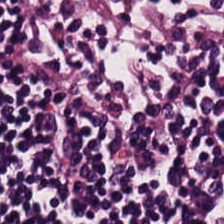Hematoxylin-and-eosin stained section. Showing lymphocytes.
